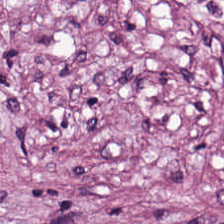H&E-stained tissue section. 224×224 px patch. Formalin-fixed paraffin-embedded section. {"tissue_type": "tumor stroma"}
